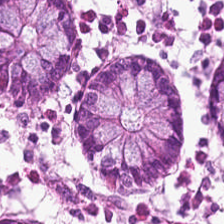FFPE tissue section. H&E-stained tissue section. Predominantly normal colon mucosa.
